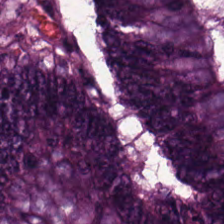H&E-stained tissue section. Tumor epithelium.
